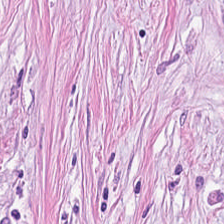Formalin-fixed paraffin-embedded section; hematoxylin-and-eosin stained section. Tissue type — desmoplastic stroma.
